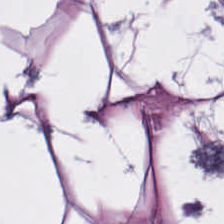FFPE tissue section · hematoxylin and eosin — This field is adipose tissue.
